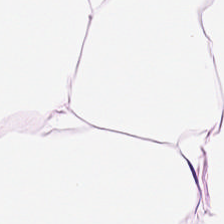Stain: H&E-stained tissue section.
Tissue type: adipose.
